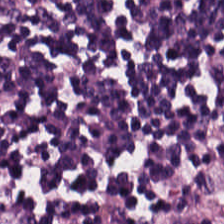Hematoxylin and eosin — This field is lymphocytic infiltrate.
